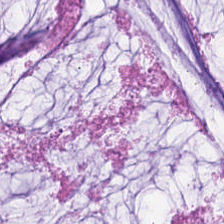This field is mucin.
